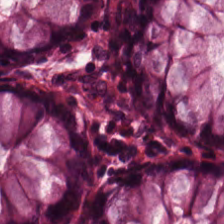This field is normal colonic mucosa.
